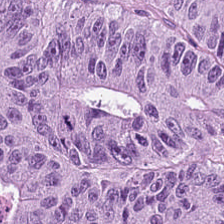FFPE. Hematoxylin and eosin. Impression → colorectal adenocarcinoma.
